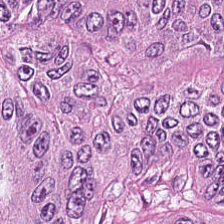H&E patch showing malignant epithelium.
